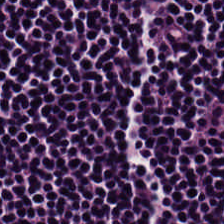Hematoxylin-and-eosin stained section — Predominantly lymphoid infiltrate.
